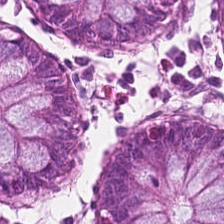Hematoxylin and eosin — Predominantly benign colonic mucosa.
